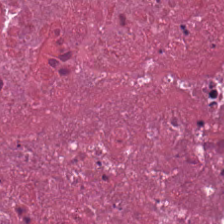Predominantly cellular debris.
